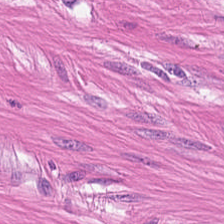Hematoxylin and eosin.
Showing muscularis.
